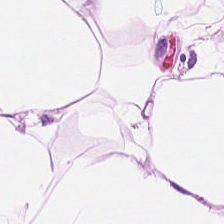Tissue — adipose.
